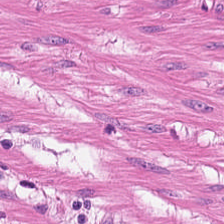Finding → smooth-muscle tissue.
